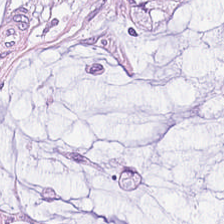Histology — extracellular mucin.
